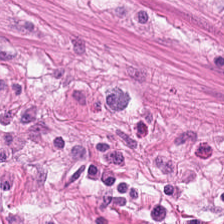Brightfield; hematoxylin-and-eosin stained section.
This patch shows muscularis.
